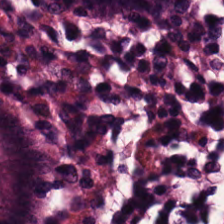H&E stain; 20× equivalent magnification.
Predominant tissue = benign colonic mucosa.
